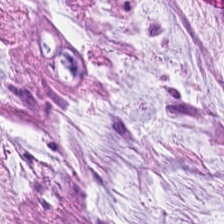Hematoxylin-and-eosin stained section · formalin-fixed paraffin-embedded section — Classification = mucin.
